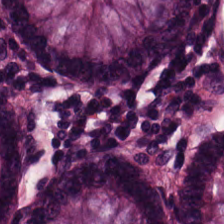224×224 px tile. H&E-stained tissue section. 0.5 microns per pixel — Non-neoplastic colon mucosa.
